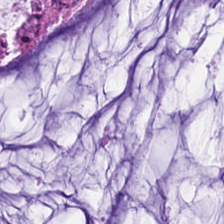H&E-stained tissue section.
Q: What is shown here?
A: It is extracellular mucin.
